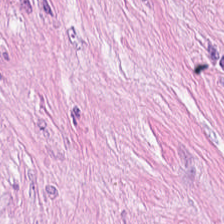Q: What is shown in this field?
A: This is tumor-associated stroma.
